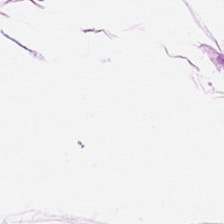0.5 microns per pixel. Hematoxylin and eosin. Classification: adipose.
